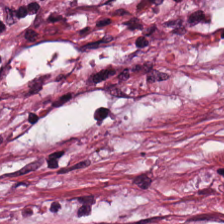H&E stain — Q: What is shown here?
A: Tumor stroma.
